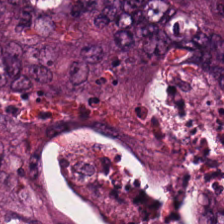H&E-stained tissue section.
This field is colorectal adenocarcinoma epithelium.
